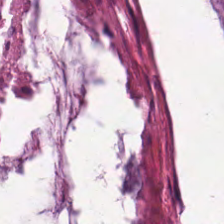H&E-stained tissue section; 224×224 pixel tile — Tissue — mucus.
